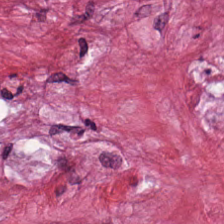Hematoxylin-and-eosin stained section.
Tissue: tumor-associated stroma.
